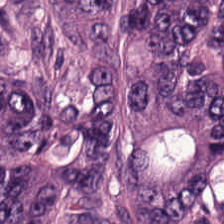H&E. Showing colorectal adenocarcinoma epithelium.
